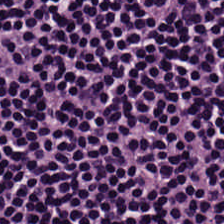Hematoxylin-and-eosin stained section · 224×224 px tile — The tissue is lymphoid infiltrate.
